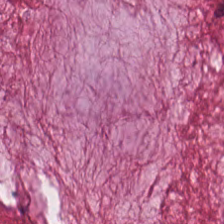H&E-stained tissue section · 224×224 px patch. Finding → extracellular mucin.
